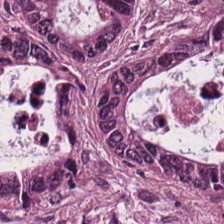H&E · 0.5 microns per pixel — Classification = colorectal adenocarcinoma epithelium.
